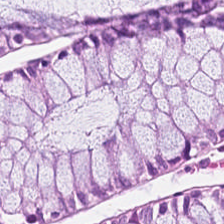0.5 microns per pixel. Hematoxylin and eosin. 224×224 px patch. This patch shows normal colonic mucosa.
